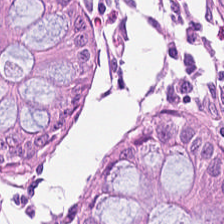Hematoxylin and eosin; 20× equivalent magnification; brightfield — The tissue type is normal colon mucosa.
